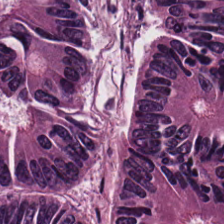H&E-stained tissue section; 224×224 px tile.
Tissue class — malignant epithelium.
